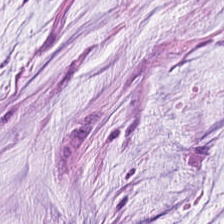H&E-stained tissue section — This patch shows extracellular mucin.
